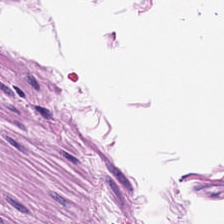Brightfield microscopy. H&E-stained tissue section. FFPE tissue section — Histology → muscularis.
